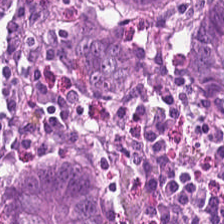0.5 µm/px · H&E-stained tissue section · 224×224 pixel tile — Predominantly normal colon mucosa.
